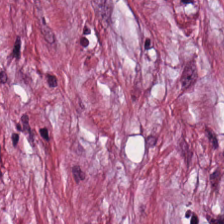Stain: H&E-stained tissue section.
Tissue type: tumor stroma.
